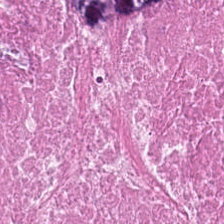WSI patch · hematoxylin-and-eosin stained section. Q: What tissue is shown?
A: It is cellular debris.
